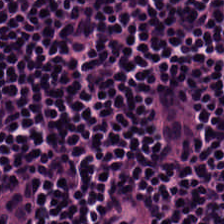H&E stain · WSI patch — Predominant tissue — lymphocytes.
